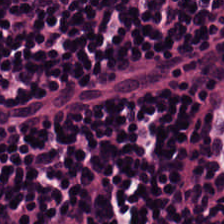Hematoxylin-and-eosin stained section — Histology — lymphocytic infiltrate.
